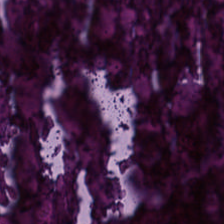Hematoxylin-and-eosin section: debris.
